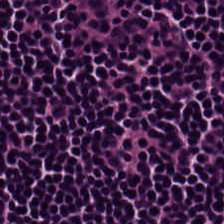Stain: H&E.
Classification: lymphocyte aggregate.
